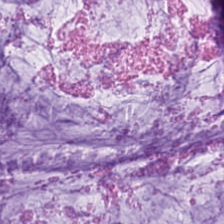Stain: H&E.
Resolution: 0.5 µm/px.
Tissue type: mucus.
